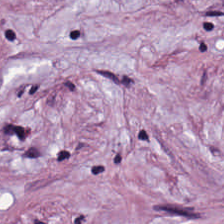Hematoxylin and eosin. FFPE tissue section — This patch shows cancer-associated stroma.
